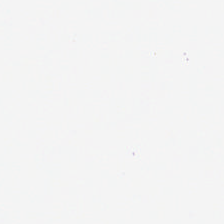Stain: H&E stain.
Preparation: FFPE.
Acquisition: whole-slide-image patch.
Classification: background.
